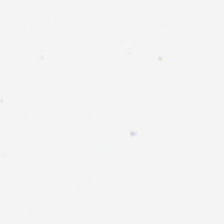H&E stain; FFPE tissue section.
Content — no tissue.
